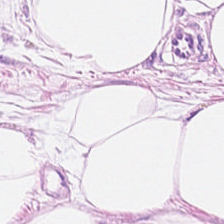H&E-stained tissue section. This field is adipocytes.
